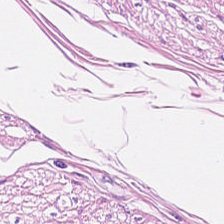0.5 µm/px. Hematoxylin-and-eosin stained section. WSI patch. Predominantly muscularis.
